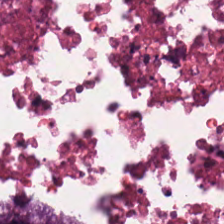Formalin-fixed paraffin-embedded section · H&E-stained tissue section. Classification: necrotic debris.
